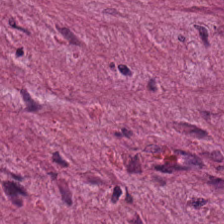224×224 pixel tile. FFPE. Hematoxylin-and-eosin stained section.
The tissue here is tumor stroma.
